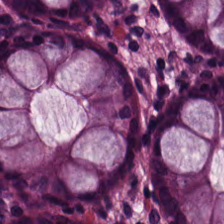Tissue type: benign colonic mucosa.
